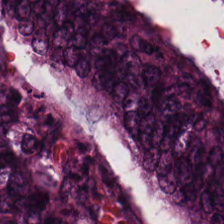Stain: hematoxylin-and-eosin stained section.
Tissue type: colorectal adenocarcinoma.
